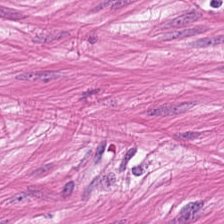224×224 pixel tile. Hematoxylin-and-eosin stained section. Q: Identify the tissue.
A: Smooth-muscle tissue.
